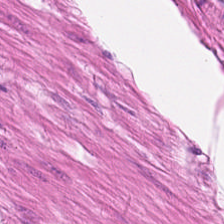Tissue class — smooth muscle.
